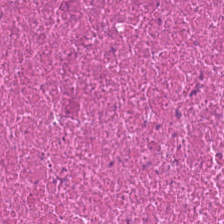H&E-stained tissue section. Q: Classify this patch.
A: Cellular debris.
